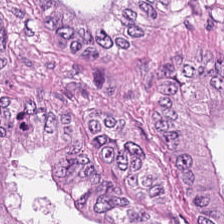Hematoxylin-and-eosin stained section — Finding — adenocarcinoma.
